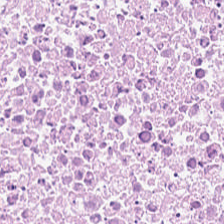H&E stain — This patch shows cellular debris.
